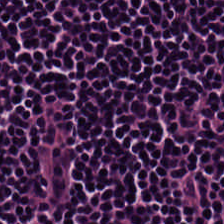Histology → lymphocytes.
